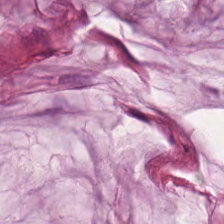Hematoxylin-and-eosin stained section — Q: What tissue type is shown here?
A: The field shows extracellular mucin.
